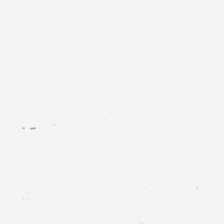Q: Classify this patch.
A: It is no tissue.
